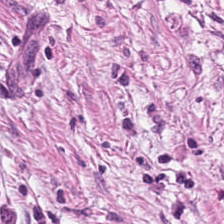This field is tumor-associated stroma.
